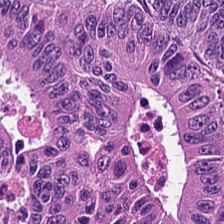Q: What is shown here?
A: This is malignant epithelium.
